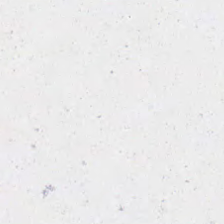Hematoxylin and eosin — {"content": "empty background"}
